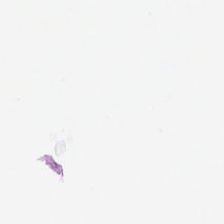Hematoxylin-and-eosin stained section.
Impression — no tissue.
